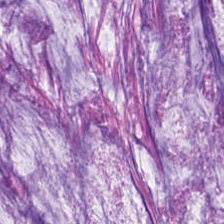Q: Identify the tissue.
A: The field shows extracellular mucin.
